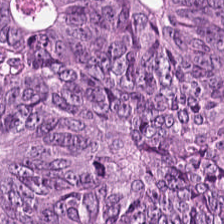H&E stain.
Predominant tissue: colorectal adenocarcinoma epithelium.
